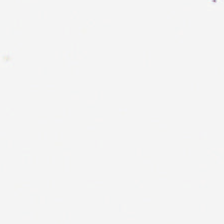H&E stain.
Impression → no tissue.
